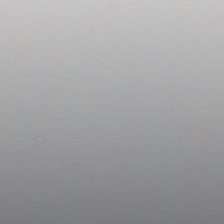Hematoxylin and eosin.
This field is background (no tissue).
